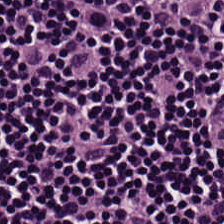Stain: H&E stain.
Tissue type: lymphocytes.
